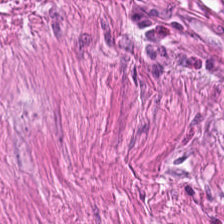H&E-stained tissue section. The tissue is smooth muscle.
